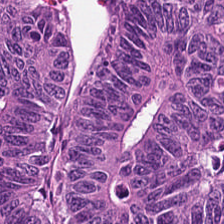Whole-slide-image patch; H&E stain. Tissue: adenocarcinoma.
